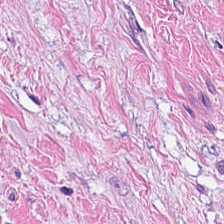224×224 pixel tile; H&E stain. Tissue type — cancer-associated stroma.
